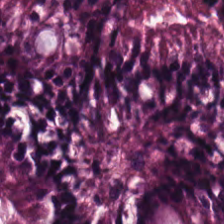FFPE tissue section. 224×224 px patch. H&E stain. This patch shows non-neoplastic colon mucosa.
